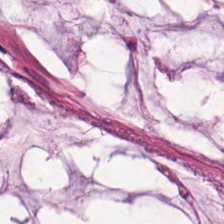H&E stain — Showing extracellular mucin.
